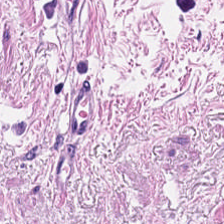Hematoxylin-and-eosin stained section. {"tissue_type": "smooth muscle"}
